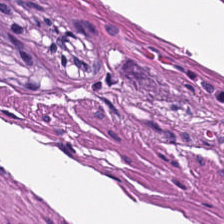Smooth muscle.
